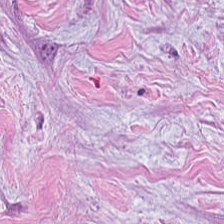H&E. Q: What is shown in this field?
A: Tumor-associated stroma.
